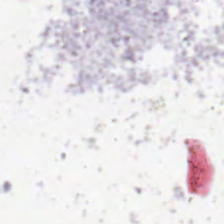Hematoxylin-and-eosin stained section — Field content: background.
